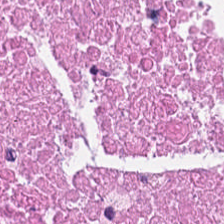Hematoxylin-and-eosin stained section · 224×224 px patch — Classification: cellular debris.
